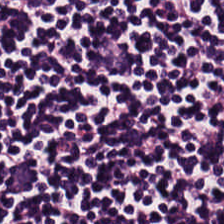Stain: H&E stain.
Acquisition: whole-slide-image patch.
Classification: lymphoid infiltrate.
